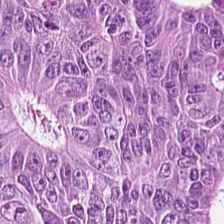H&E stain — {"tissue_type": "colorectal adenocarcinoma epithelium"}
